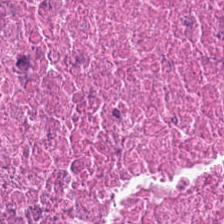Q: Identify the tissue.
A: Cellular debris.
